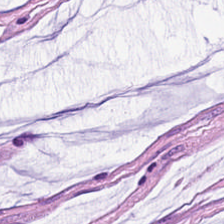H&E-stained tissue section — The tissue here is mucin.
